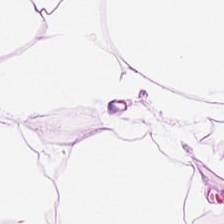Formalin-fixed paraffin-embedded section · 224×224 px patch · hematoxylin and eosin. Finding → adipose tissue.
